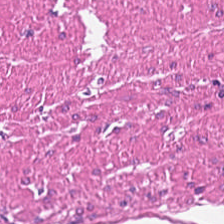Hematoxylin-and-eosin stained section · 224×224 pixel tile. Histology → smooth-muscle tissue.
